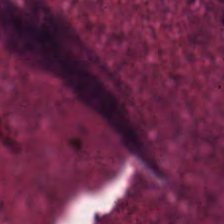224×224 px tile. Hematoxylin and eosin — The predominant tissue is cellular debris.
